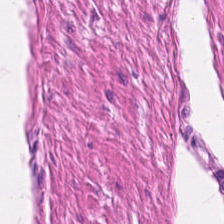Histology → muscularis.
